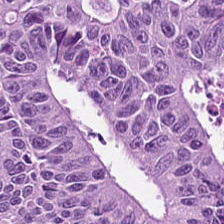H&E. This patch shows malignant epithelium.
